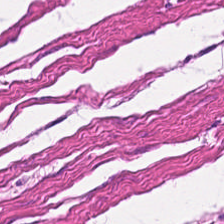Smooth muscle.
